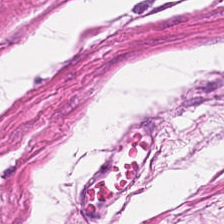H&E stain — Q: Identify the tissue.
A: Smooth-muscle tissue.
